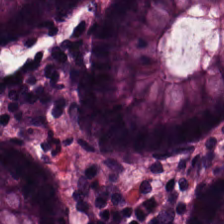Brightfield microscopy · hematoxylin and eosin · FFPE tissue section.
Normal colonic mucosa.
